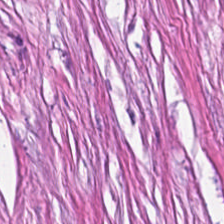Q: What is shown in this field?
A: This is tumor stroma.
